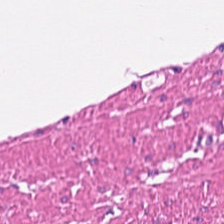H&E-stained tissue section. 20× equivalent magnification. 224×224 px tile. Tissue: muscularis.
